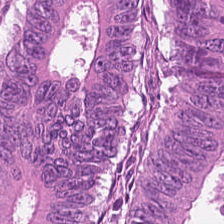Hematoxylin and eosin; 224×224 px tile. The predominant tissue is tumor epithelium.
